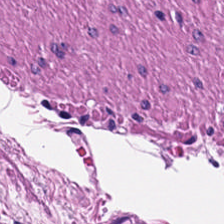H&E stain.
Q: What tissue is shown?
A: This is smooth muscle.
